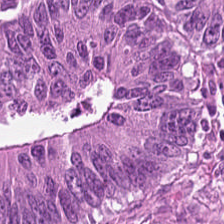Tissue type = adenocarcinoma.
